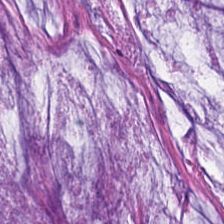Stain: H&E stain.
Tile size: 224×224 pixel tile.
Tissue class: mucus.
